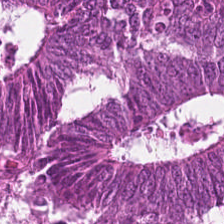Hematoxylin-and-eosin stained section. 224×224 px patch. Formalin-fixed paraffin-embedded section. Tissue = colorectal adenocarcinoma.
